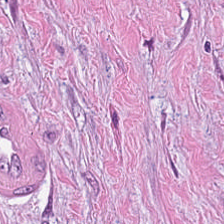H&E-stained tissue section; WSI patch. Predominant tissue = tumor stroma.
